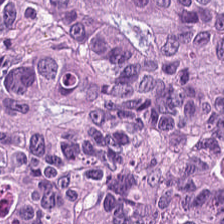H&E stain.
Tissue class: colorectal adenocarcinoma epithelium.
